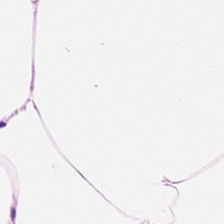{"tissue_type": "adipose"}
